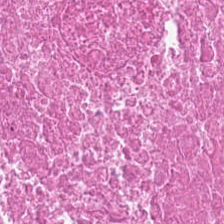Hematoxylin and eosin. 20× equivalent magnification. This field is cellular debris.
